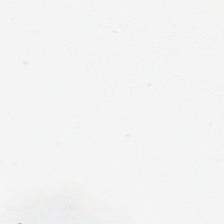H&E; FFPE.
Q: What is shown here?
A: The field shows background.
